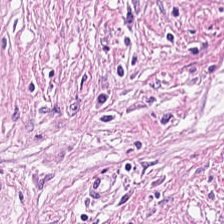Q: What is shown in this field?
A: Cancer-associated stroma.
